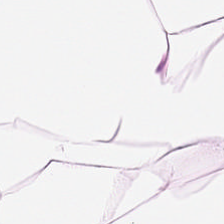20× equivalent magnification · H&E — Histology — adipocytes.
